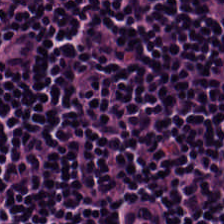H&E.
This field is lymphocyte aggregate.
